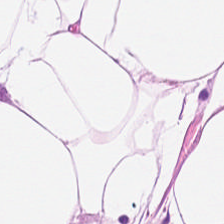H&E. {"tissue_type": "fat tissue"}
